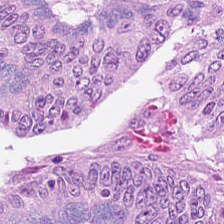Stain: H&E-stained tissue section.
Predominant tissue: colorectal adenocarcinoma.
